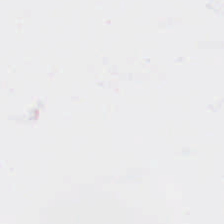Hematoxylin-and-eosin stained section.
Q: What is shown in this field?
A: This is no tissue.
